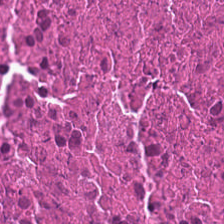Predominantly cellular debris.
